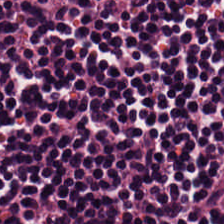H&E-stained tissue section; brightfield — Q: What is the predominant tissue type?
A: It is lymphocytic infiltrate.
